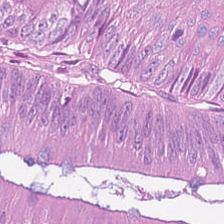0.5 microns per pixel. Hematoxylin-and-eosin stained section. 224×224 px tile.
Tissue type — malignant epithelium.
